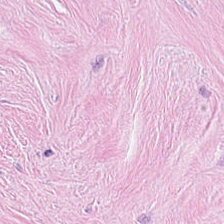H&E — Histology → tumor-associated stroma.
